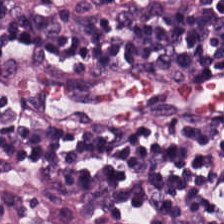H&E. Brightfield microscopy.
The predominant tissue is lymphoid infiltrate.
